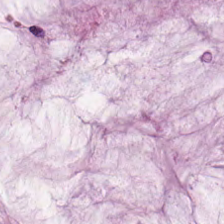H&E stain; 0.5 microns per pixel; brightfield microscopy. The predominant tissue is extracellular mucin.
